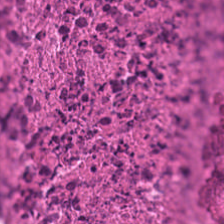H&E-stained tissue section.
This patch shows debris.
